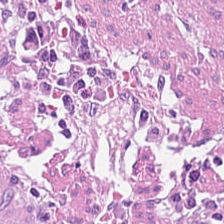Formalin-fixed paraffin-embedded section. H&E stain.
Tumor-associated stroma.
